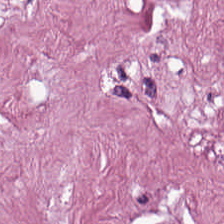H&E.
Predominantly desmoplastic stroma.
